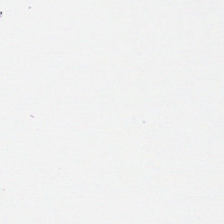H&E-stained tissue section; 0.5 µm/px — Q: What is shown in this field?
A: The field shows background.
